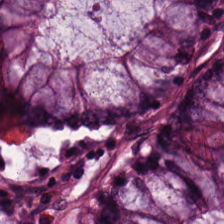Q: What tissue type is shown here?
A: It is benign colonic mucosa.
